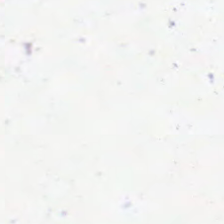WSI patch. H&E-stained tissue section — No tissue present; background only.
